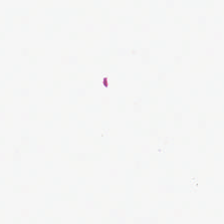Q: What is shown in this field?
A: This is background.
